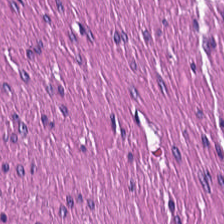Brightfield microscopy. Hematoxylin and eosin. {"tissue_type": "smooth-muscle tissue"}
